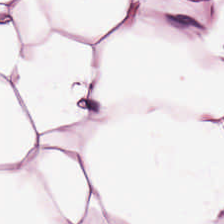224×224 pixel tile; FFPE tissue section; H&E stain — Tissue type = adipose.
